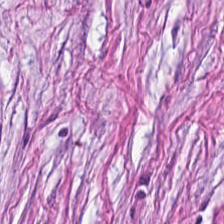Predominant tissue: cancer-associated stroma.
